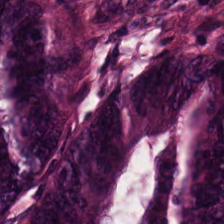Stain: H&E-stained tissue section.
Tissue type: colorectal adenocarcinoma.
